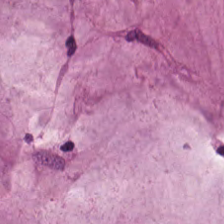224×224 px tile; FFPE tissue section; H&E stain — Showing extracellular mucin.
